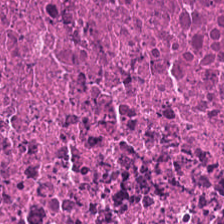Hematoxylin-and-eosin stained section. 224×224 px patch. Histology — cellular debris.
